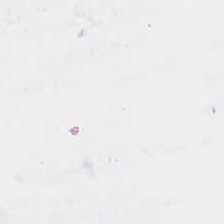Stain: hematoxylin-and-eosin stained section.
Content: empty background.
